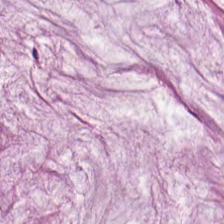H&E. Whole-slide-image patch.
Q: What tissue is shown?
A: Extracellular mucin.
